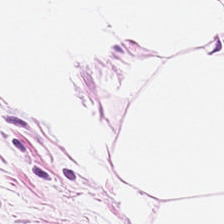Stain: hematoxylin-and-eosin stained section.
Resolution: 0.5 µm/px.
Acquisition: brightfield microscopy.
Tissue class: adipose.
